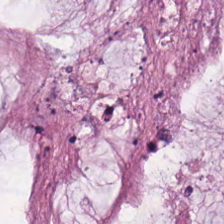0.5 µm/px. Hematoxylin-and-eosin stained section.
Showing mucus.
